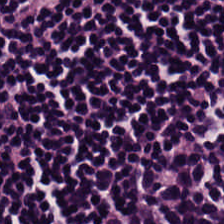Hematoxylin and eosin; 0.5 µm per pixel; 224×224 pixel tile — The tissue is lymphocyte aggregate.
